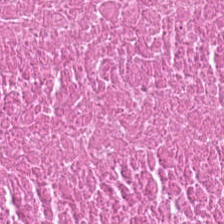Showing cellular debris.
